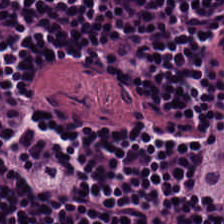FFPE. WSI patch. H&E.
Classification = lymphoid infiltrate.
